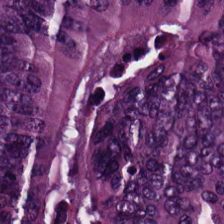H&E patch showing tumor epithelium.
